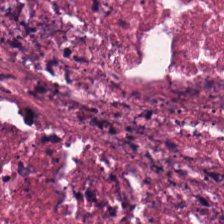Hematoxylin-and-eosin stained section. Brightfield.
{"tissue_type": "necrotic debris"}
